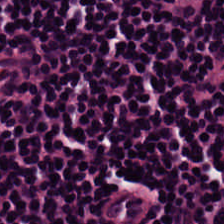Brightfield microscopy. H&E-stained tissue section. 0.5 microns per pixel.
Finding → lymphocytic infiltrate.
